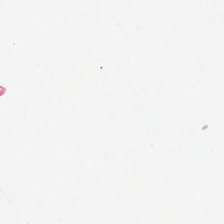224×224 px tile; H&E-stained tissue section; 0.5 microns per pixel.
Background — no tissue in this field.
